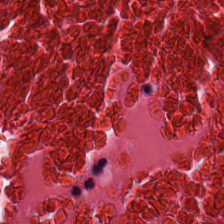Hematoxylin-and-eosin stained section. {"tissue_type": "necrotic debris"}
